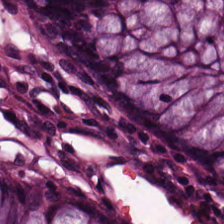Brightfield · hematoxylin-and-eosin stained section.
Classification: benign colonic mucosa.
